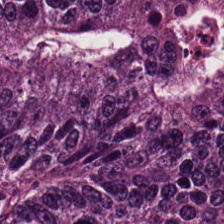224×224 px tile. H&E-stained tissue section. The tissue class is colorectal adenocarcinoma epithelium.
